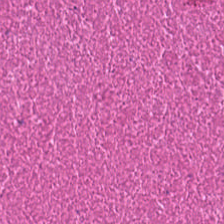Hematoxylin and eosin · FFPE · whole-slide-image patch. Tissue class: debris.
